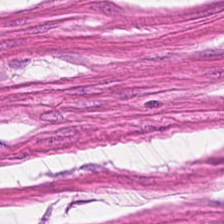H&E-stained tissue section. Q: What does this patch show?
A: This is smooth muscle.
